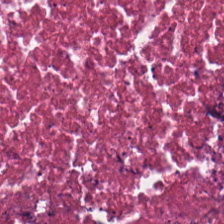Hematoxylin-and-eosin stained section — Q: What does this patch show?
A: Necrotic debris.
